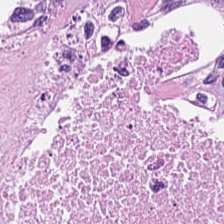H&E stain.
Tissue class = necrotic debris.
